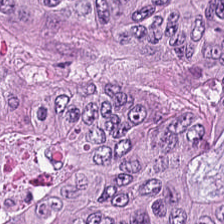Hematoxylin and eosin · FFPE.
Q: What is shown in this field?
A: This is tumor epithelium.
